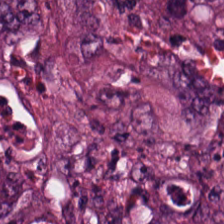H&E. Formalin-fixed paraffin-embedded section. Predominant tissue: colorectal adenocarcinoma epithelium.
